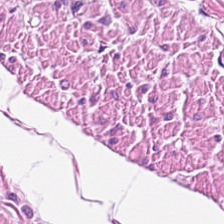This field is smooth-muscle tissue.
